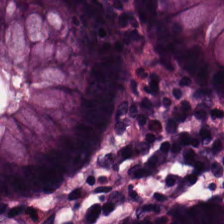Hematoxylin and eosin.
{"tissue_type": "benign colonic mucosa"}
